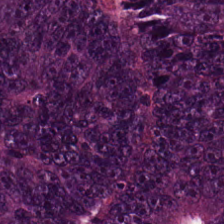H&E-stained tissue section. 224×224 px tile.
Q: Classify this patch.
A: It is colorectal adenocarcinoma.
